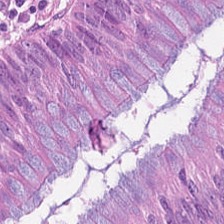Hematoxylin-and-eosin stained section. Histology → tumor epithelium.
